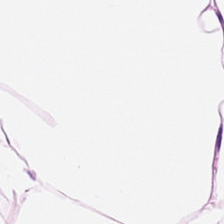Stain: H&E stain.
Tile size: 224×224 pixel tile.
Tissue type: adipocytes.
